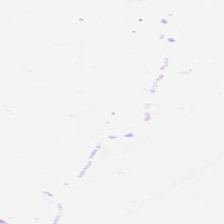H&E. This patch shows no tissue.
